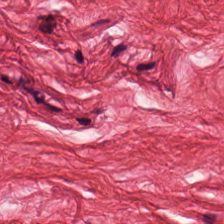FFPE tissue section; H&E-stained tissue section; 0.5 microns per pixel — Predominantly smooth-muscle tissue.
